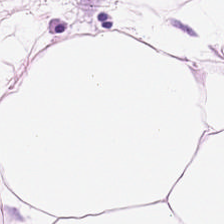H&E · whole-slide-image patch — Tissue = adipose.
